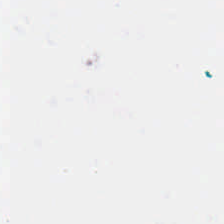This patch shows no tissue.
